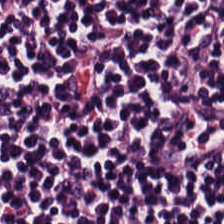224×224 pixel tile. H&E-stained tissue section. Lymphocytic infiltrate.
